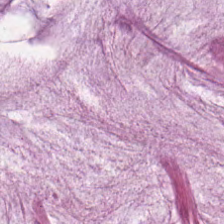Q: Classify this patch.
A: Extracellular mucin.
